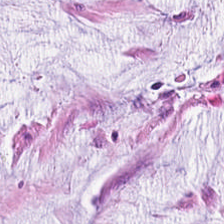Stain: hematoxylin and eosin.
Acquisition: whole-slide-image patch.
Resolution: 0.5 microns per pixel.
Predominant tissue: extracellular mucin.
